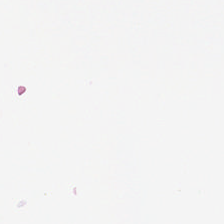H&E.
Content = no tissue.
